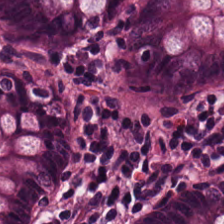H&E. The tissue here is benign colonic mucosa.
